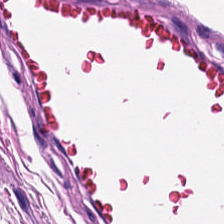H&E.
This field is smooth-muscle tissue.
